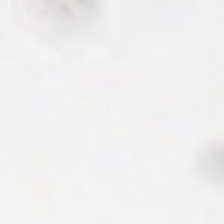No tissue present; background only.
